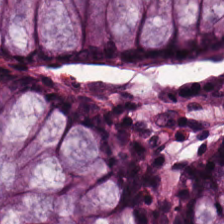The predominant tissue is normal colon mucosa.
